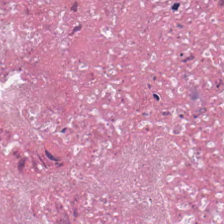H&E-stained tissue section. Predominantly cellular debris.
